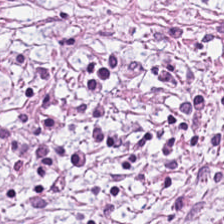This patch shows cancer-associated stroma.
